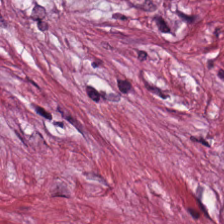FFPE tissue section. 224×224 pixel tile. H&E stain. Finding → desmoplastic stroma.
